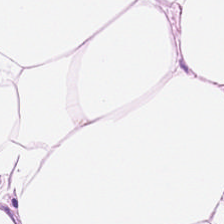Stain: hematoxylin-and-eosin stained section.
Tissue type: adipocytes.
